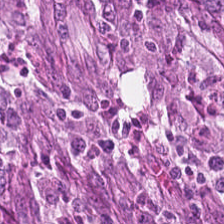H&E. 0.5 microns per pixel. 224×224 px tile.
This field is malignant epithelium.
